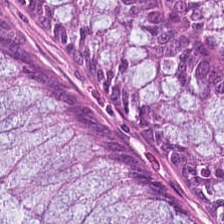H&E-stained tissue section.
The tissue here is normal colon mucosa.
